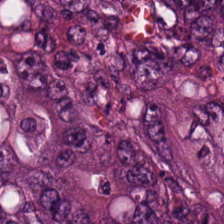WSI patch. Hematoxylin-and-eosin stained section.
Impression — colorectal adenocarcinoma.
